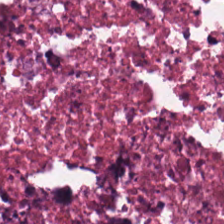Hematoxylin-and-eosin stained section. This patch shows cellular debris.
